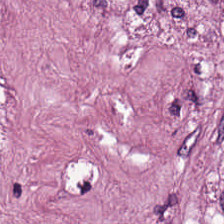H&E stain; brightfield microscopy — Classification = cancer-associated stroma.
